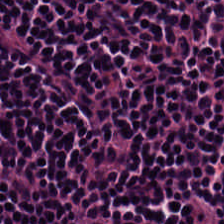H&E.
Tissue — lymphocytes.
